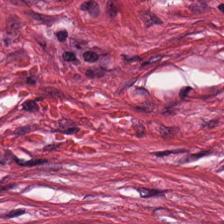Brightfield microscopy · H&E-stained tissue section — The tissue type is desmoplastic stroma.
